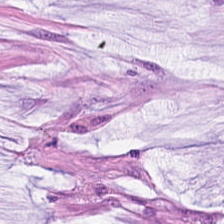Showing mucus.
